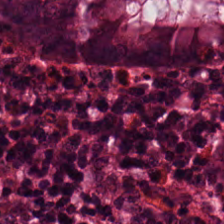H&E stain; FFPE tissue section. Impression → benign colonic mucosa.
